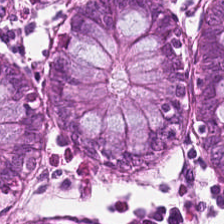H&E-stained tissue section — This patch shows normal colonic mucosa.
